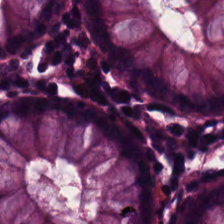Brightfield microscopy; H&E.
The tissue here is normal colonic mucosa.
